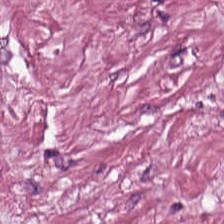H&E. Showing tumor-associated stroma.
